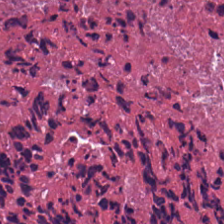Q: What does this patch show?
A: It is necrotic debris.
